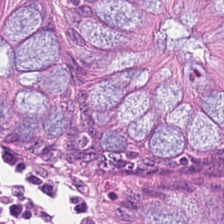20× equivalent magnification · H&E-stained tissue section.
The predominant tissue is normal colon mucosa.
